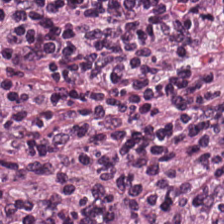Stain: hematoxylin and eosin.
Tile size: 224×224 px patch.
Tissue class: lymphoid infiltrate.
